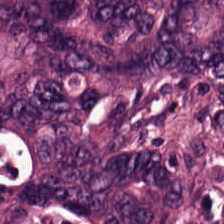H&E — Tissue class: colorectal adenocarcinoma epithelium.
